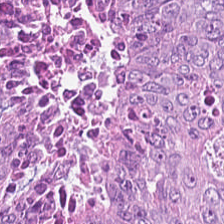H&E.
Finding — colorectal adenocarcinoma epithelium.
